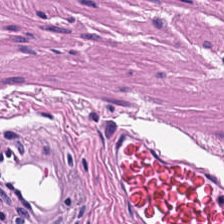WSI patch · H&E stain. Showing smooth muscle.
